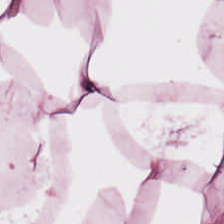H&E-stained section; the field shows fat tissue.
